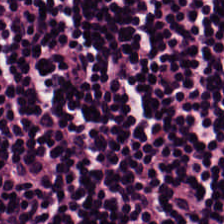H&E-stained tissue section. 0.5 µm/px — Lymphocyte aggregate.
